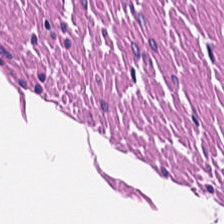H&E-stained tissue section; 20× equivalent magnification.
This field is smooth muscle.
